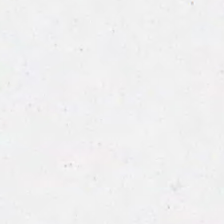Q: What is shown in this field?
A: This is empty background.
